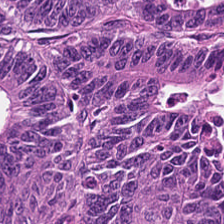Stain: H&E stain.
Tissue class: adenocarcinoma.
